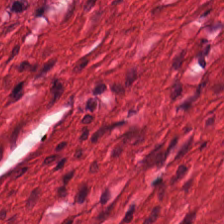H&E-stained tissue section.
Q: What tissue is shown?
A: Smooth-muscle tissue.
